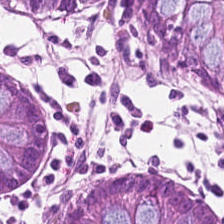The predominant tissue is benign colonic mucosa.
